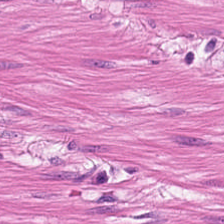H&E; 224×224 px tile — This patch shows smooth-muscle tissue.
